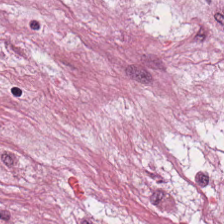Hematoxylin and eosin. Formalin-fixed paraffin-embedded section. Impression → tumor-associated stroma.
